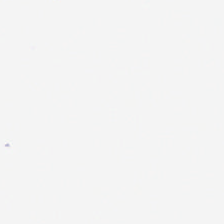Whole-slide-image patch · FFPE · H&E-stained tissue section.
No tissue present; background only.
